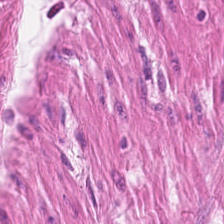Tissue type = smooth-muscle tissue.
